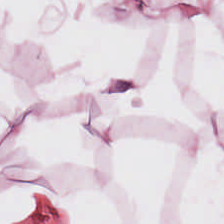Hematoxylin and eosin. Predominant tissue = adipose tissue.
